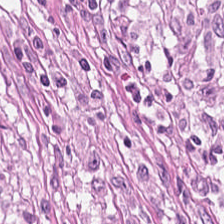Stain: H&E stain.
Tissue type: tumor stroma.
